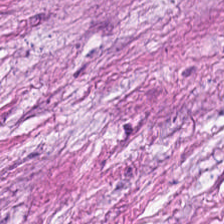Q: What is the predominant tissue type?
A: The field shows cancer-associated stroma.
